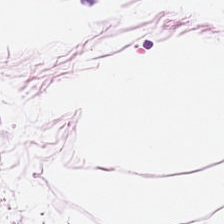Classification: adipose tissue.
